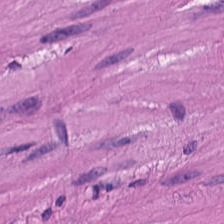20× equivalent magnification. Hematoxylin and eosin. Classification = muscularis.
